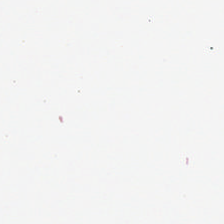Stain: H&E-stained tissue section.
Classification: background.
